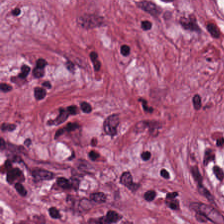Stain: hematoxylin and eosin.
Tissue class: tumor-associated stroma.
